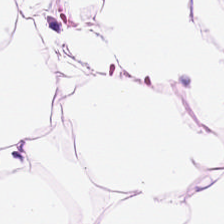224×224 pixel tile · hematoxylin-and-eosin stained section.
This patch shows adipose tissue.
